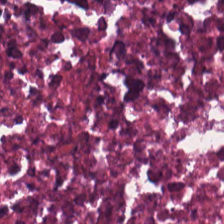Stain: H&E stain.
Classification: cellular debris.
